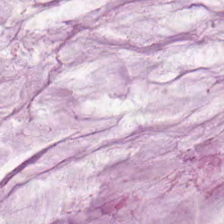Hematoxylin and eosin; WSI patch — Tissue: mucus.
